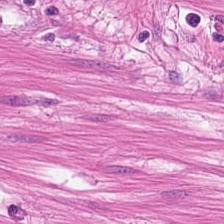Hematoxylin-and-eosin stained section — Tissue = muscularis.
